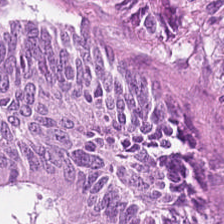H&E stain — Predominant tissue: malignant epithelium.
